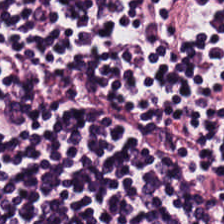H&E stain — The predominant tissue is lymphoid infiltrate.
